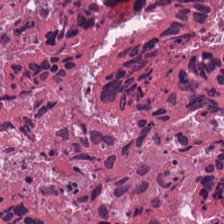Hematoxylin and eosin. Showing cellular debris.
